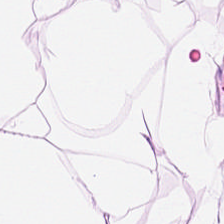Hematoxylin and eosin — This patch shows adipocytes.
